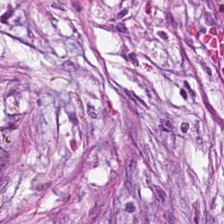Tissue class: cancer-associated stroma.
